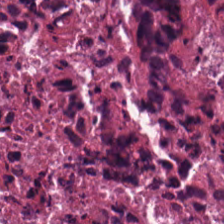Stain: H&E stain.
Tissue type: debris.
